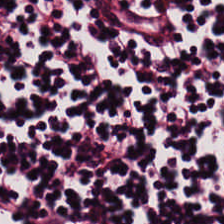Q: Identify the tissue.
A: The field shows lymphocyte aggregate.
